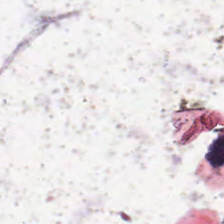Stain: H&E.
Field content: no tissue.
